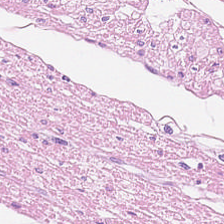0.5 µm per pixel; hematoxylin and eosin; 224×224 pixel tile — Predominantly smooth-muscle tissue.
